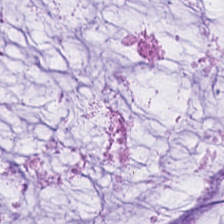Showing extracellular mucin.
